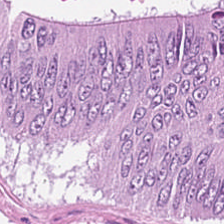Stain: H&E-stained tissue section.
Predominant tissue: colorectal adenocarcinoma.
